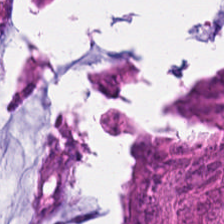H&E-stained tissue section. Q: What is the predominant tissue type?
A: This is adenocarcinoma.
